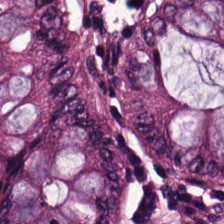Q: What type of tissue is this?
A: This is non-neoplastic colon mucosa.
